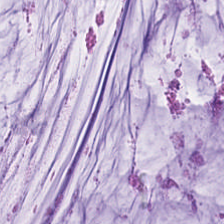Brightfield · H&E.
Showing mucus.
